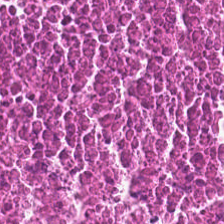Stain: H&E stain.
Acquisition: whole-slide-image patch.
Tissue: debris.
